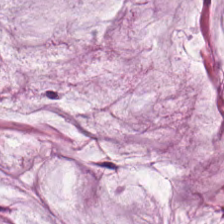Stain: H&E stain.
Predominant tissue: extracellular mucin.
